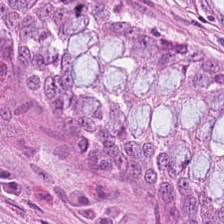H&E-stained tissue section. 20× equivalent magnification.
The tissue is normal colonic mucosa.
